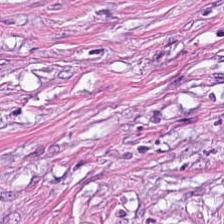Hematoxylin-and-eosin stained section.
Tissue = desmoplastic stroma.
